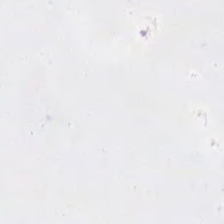H&E.
Field content = background (no tissue).
